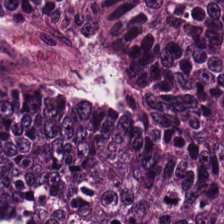H&E stain. Predominantly adenocarcinoma.
